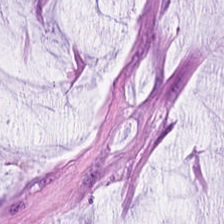0.5 microns per pixel. Hematoxylin-and-eosin stained section. The tissue is extracellular mucin.
